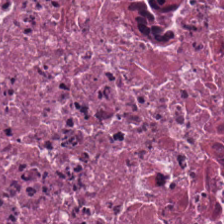Hematoxylin and eosin.
The predominant tissue is cellular debris.
